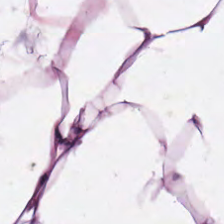H&E stain.
Tissue = adipocytes.
